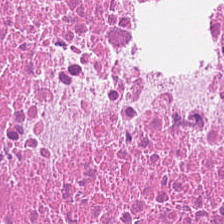FFPE · H&E. Predominantly cellular debris.
